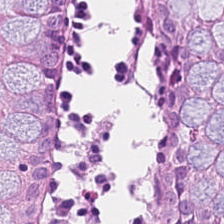Hematoxylin-and-eosin stained section — Classification — benign colonic mucosa.
